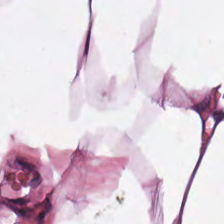{"tissue_type": "adipose tissue"}
